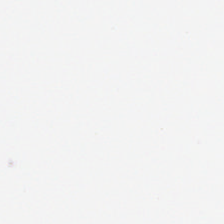Brightfield. 224×224 px tile. Hematoxylin-and-eosin stained section — Background — no tissue in this field.
